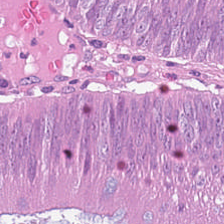H&E. The predominant tissue is colorectal adenocarcinoma epithelium.
